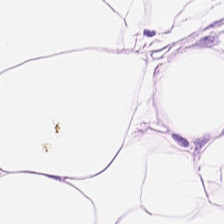Stain: H&E-stained tissue section.
Tissue class: adipose tissue.
